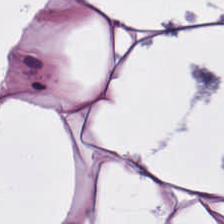224×224 px tile. H&E stain — Tissue type = adipocytes.
